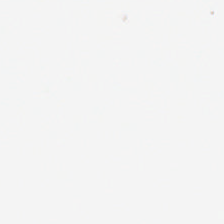Content: no tissue.
